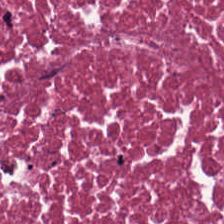Hematoxylin and eosin.
{"tissue_type": "cellular debris"}
